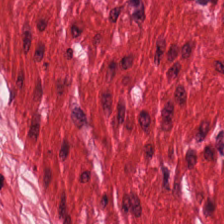H&E-stained tissue section — Q: Identify the tissue.
A: The field shows muscularis.
